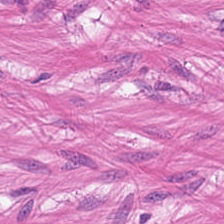Stain: hematoxylin and eosin.
Acquisition: WSI patch.
Tissue: muscularis.
